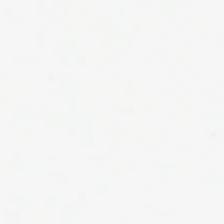The field content is no tissue.
